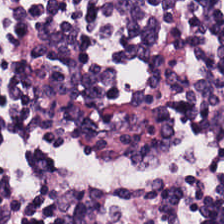0.5 µm per pixel. H&E-stained tissue section. The tissue is lymphocyte aggregate.
